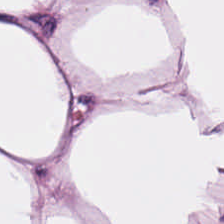Hematoxylin-and-eosin stained section. Histology → fat tissue.
